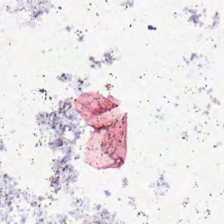FFPE · brightfield · hematoxylin-and-eosin stained section. Q: Classify this patch.
A: The field shows empty background.
